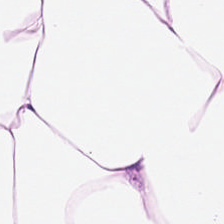Hematoxylin-and-eosin stained section · 224×224 px tile. Histology → adipose tissue.
